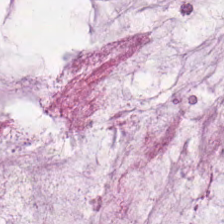H&E. Tissue = mucin.
